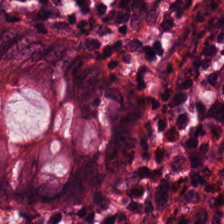H&E — normal colon mucosa.
